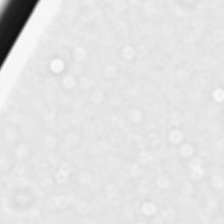Content: empty background.
